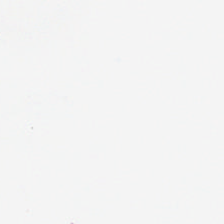224×224 px patch. Hematoxylin and eosin. FFPE.
Q: What does this patch show?
A: This is no tissue.
